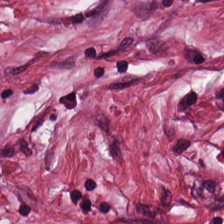H&E stain — Histology → desmoplastic stroma.
